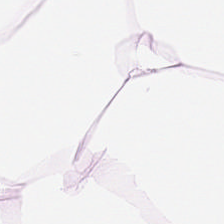H&E. Showing adipose tissue.
